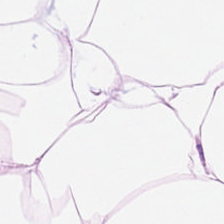H&E; 224×224 pixel tile.
Tissue class — adipose.
